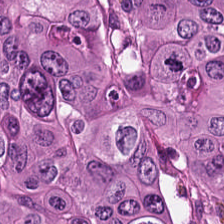Hematoxylin-and-eosin section: tumor epithelium.
